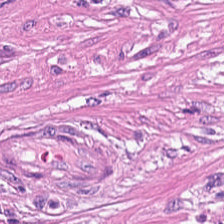Q: Identify the tissue.
A: Muscularis.
